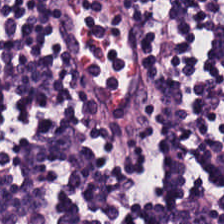Hematoxylin-and-eosin stained section. Predominantly lymphoid infiltrate.
